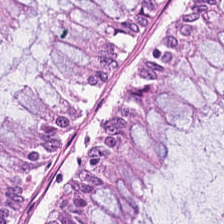Hematoxylin-and-eosin stained section.
This field is normal colon mucosa.
